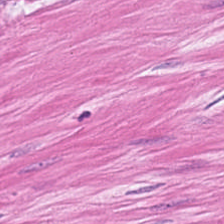Q: What type of tissue is this?
A: It is muscularis.
